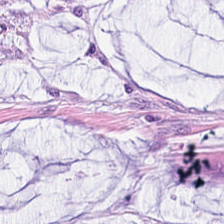224×224 pixel tile. H&E. Formalin-fixed paraffin-embedded section.
{"tissue_type": "mucus"}
